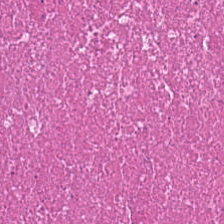Hematoxylin-and-eosin stained section — Classification: cellular debris.
